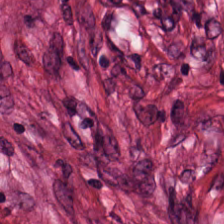Stain: hematoxylin-and-eosin stained section.
Resolution: 0.5 microns per pixel.
Predominant tissue: tumor stroma.
